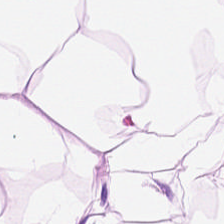H&E stain — Q: What tissue is shown?
A: Adipose.
